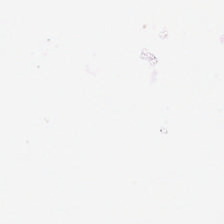H&E.
The field content is empty background.
